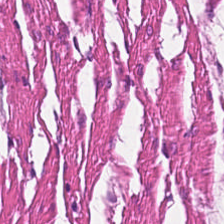Hematoxylin and eosin.
This patch shows smooth muscle.
